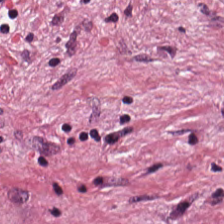Stain: H&E-stained tissue section.
Tissue: tumor-associated stroma.
